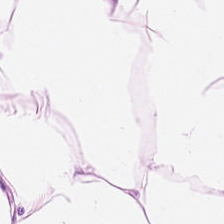Hematoxylin-and-eosin stained section — Histology — adipose tissue.
